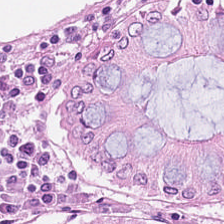H&E stain; 0.5 µm/px. Tissue class = normal colon mucosa.
